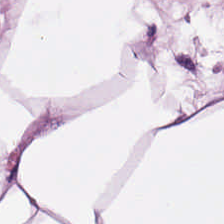Predominant tissue = adipose.
